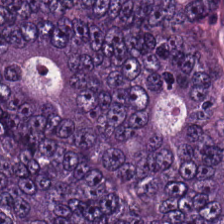FFPE tissue section · H&E-stained tissue section. Q: What is the predominant tissue type?
A: The field shows tumor epithelium.
